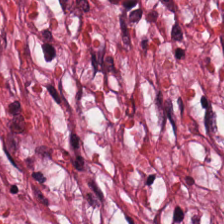FFPE · hematoxylin and eosin.
Finding — tumor stroma.
